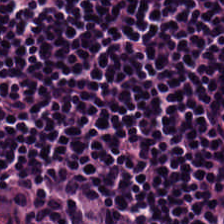20× equivalent magnification. Hematoxylin and eosin. Formalin-fixed paraffin-embedded section.
Predominant tissue = lymphocyte aggregate.
